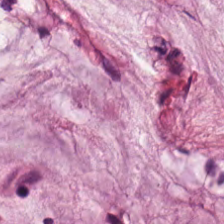H&E-stained tissue section.
This field is mucus.
